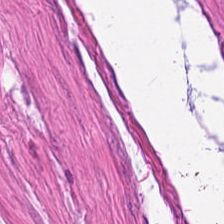Hematoxylin-and-eosin stained section — Histology — smooth-muscle tissue.
